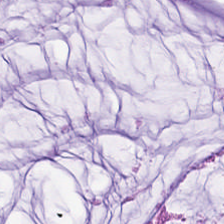Hematoxylin-and-eosin stained section · FFPE tissue section. Q: What is the predominant tissue type?
A: The field shows mucus.
